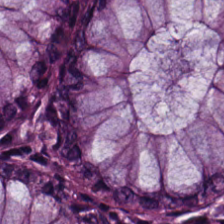Q: What is shown here?
A: The field shows normal colonic mucosa.
